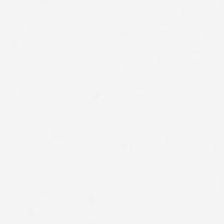H&E-stained tissue section — {"content": "background"}
